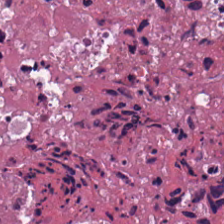0.5 µm/px; H&E-stained tissue section. Cellular debris.
